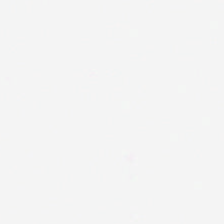Hematoxylin-and-eosin stained section — Background (no tissue).
